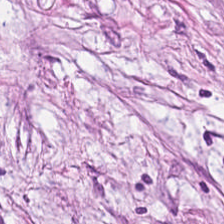The predominant tissue is desmoplastic stroma.
